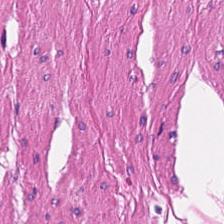WSI patch. Formalin-fixed paraffin-embedded section. Hematoxylin-and-eosin stained section — {"tissue_type": "smooth-muscle tissue"}
